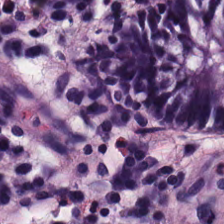Hematoxylin-and-eosin stained section; WSI patch. Q: Classify this patch.
A: Normal colon mucosa.
